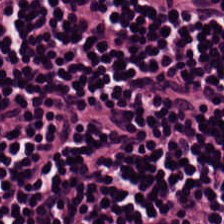Hematoxylin-and-eosin stained section — This field is lymphoid infiltrate.
